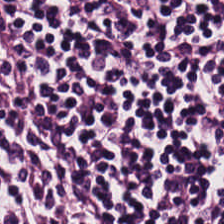FFPE; hematoxylin and eosin. Finding → lymphocytic infiltrate.
